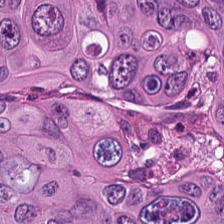Stain: H&E stain.
Predominant tissue: malignant epithelium.
